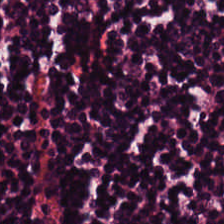H&E stain · 224×224 pixel tile · brightfield.
Lymphoid infiltrate.
